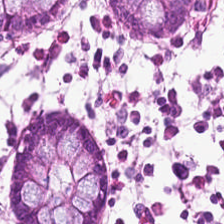Hematoxylin and eosin · whole-slide-image patch · 0.5 µm/px — Q: What is the predominant tissue type?
A: This is benign colonic mucosa.
